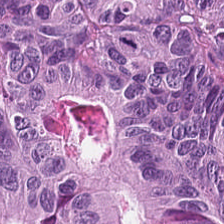H&E. 0.5 µm per pixel — Tissue type — tumor epithelium.
